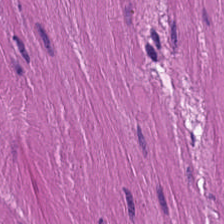224×224 pixel tile. Hematoxylin and eosin. FFPE — Tissue type: smooth muscle.
